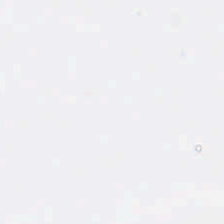Background (no tissue).
